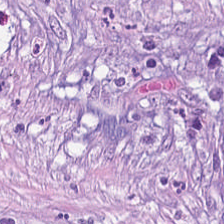H&E.
Q: Classify this patch.
A: It is tumor stroma.
